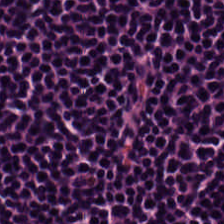Stain: H&E-stained tissue section.
Tissue class: lymphocyte aggregate.
